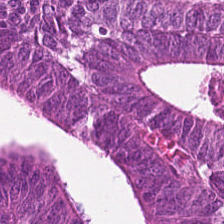Tissue: malignant epithelium.
